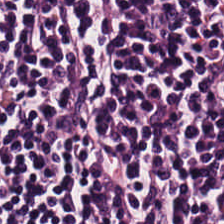H&E stain.
The predominant tissue is lymphocytes.
